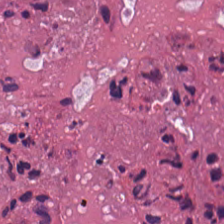Tissue class — cellular debris.
